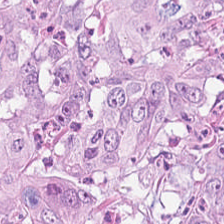H&E stain · 224×224 px tile — Classification = colorectal adenocarcinoma.
